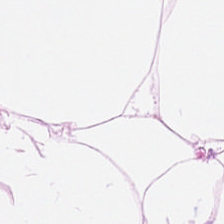Predominantly adipose tissue.
